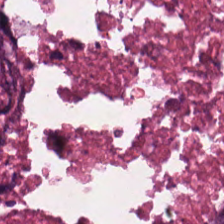H&E patch showing necrotic debris.
